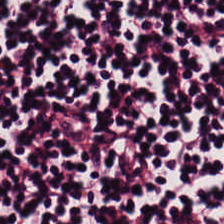H&E-stained tissue section — Showing lymphoid infiltrate.
